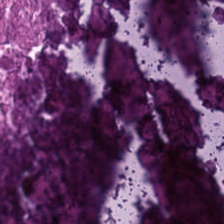Tissue: debris.
